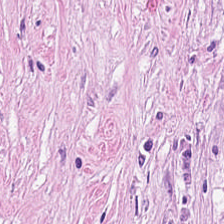Hematoxylin-and-eosin stained section — Showing tumor-associated stroma.
